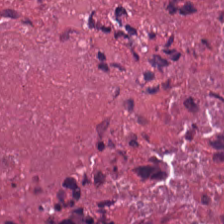Hematoxylin and eosin · formalin-fixed paraffin-embedded section — {"tissue_type": "cellular debris"}
